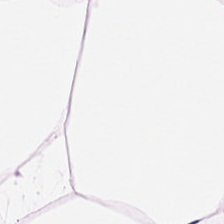Impression → fat tissue.
